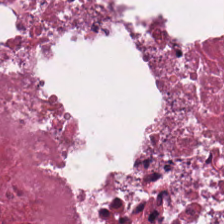Stain: H&E.
Preparation: FFPE.
Tissue class: debris.
